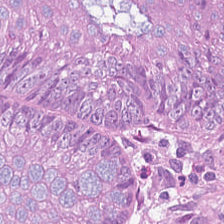H&E-stained section; the field shows tumor epithelium.
